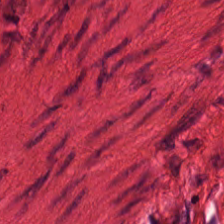Hematoxylin-and-eosin section: smooth-muscle tissue.
